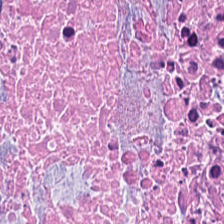Formalin-fixed paraffin-embedded section · H&E-stained tissue section — Tissue: debris.
